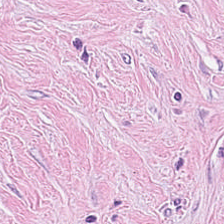This field is cancer-associated stroma.
